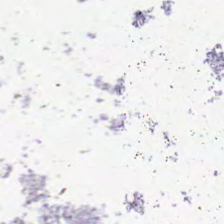H&E-stained tissue section.
Background.
